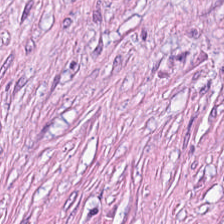Desmoplastic stroma.
